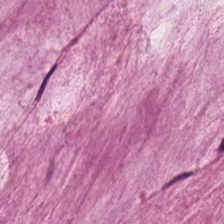Hematoxylin and eosin. Brightfield microscopy. 0.5 µm/px. Q: Identify the tissue.
A: The field shows mucus.
